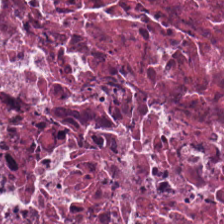Stain: hematoxylin and eosin.
Tissue type: debris.
